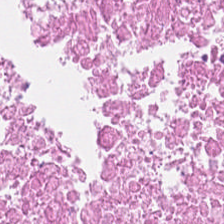H&E-stained section; the field shows debris.
